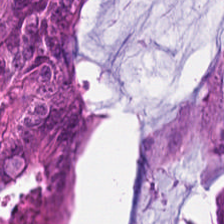Hematoxylin-and-eosin stained section.
Q: Identify the tissue.
A: This is malignant epithelium.
